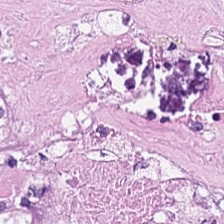Hematoxylin-and-eosin stained section. Q: What is the predominant tissue type?
A: It is debris.
